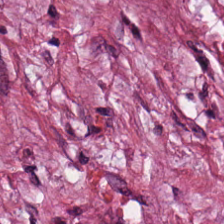Hematoxylin and eosin. Brightfield microscopy — This patch shows tumor stroma.
